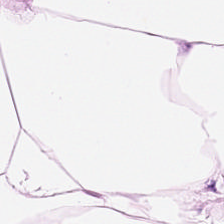Hematoxylin and eosin — The predominant tissue is adipose.
